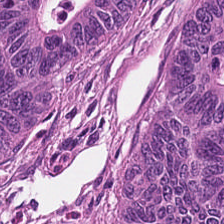224×224 pixel tile. H&E-stained tissue section. Tissue — malignant epithelium.
